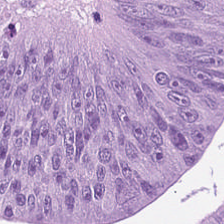FFPE; hematoxylin and eosin.
Q: What is shown here?
A: The field shows colorectal adenocarcinoma epithelium.
